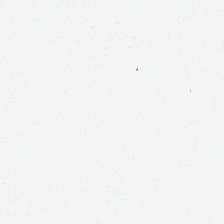0.5 microns per pixel · hematoxylin and eosin.
Classification — no tissue.
